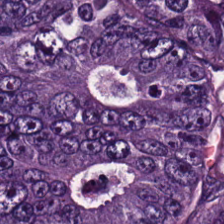Brightfield · hematoxylin and eosin — Q: What does this patch show?
A: This is tumor epithelium.
